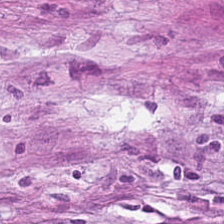H&E. Tissue type — desmoplastic stroma.
